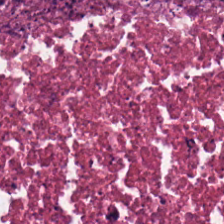Hematoxylin and eosin.
Q: Identify the tissue.
A: Cellular debris.
